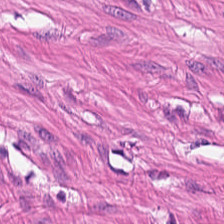{"tissue_type": "muscularis"}
